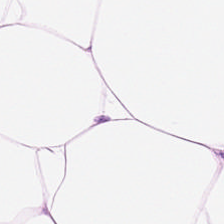H&E-stained tissue section. This field is adipose.
